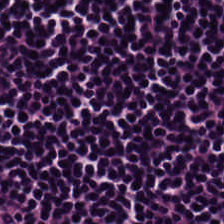H&E — The tissue here is lymphocyte aggregate.
